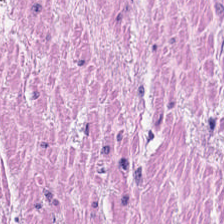Stain: H&E stain.
Predominant tissue: muscularis.
